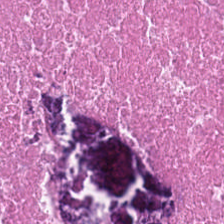H&E · FFPE — This field is cellular debris.
